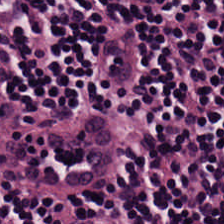224×224 pixel tile · H&E-stained tissue section.
Classification — lymphocytic infiltrate.
